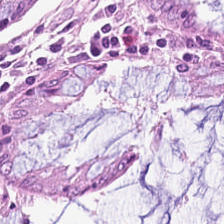H&E-stained tissue section · FFPE.
Q: What does this patch show?
A: The field shows normal colon mucosa.
